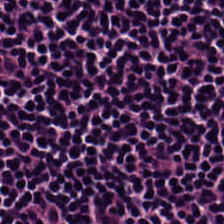WSI patch; hematoxylin-and-eosin stained section; 0.5 µm/px.
Q: Classify this patch.
A: The field shows lymphocyte aggregate.
